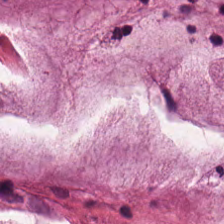Showing mucin.
